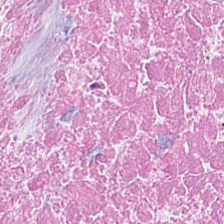Stain: H&E.
Preparation: FFPE tissue section.
Predominant tissue: debris.
